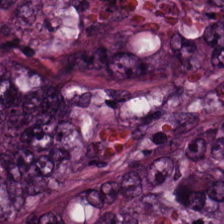224×224 px patch; H&E stain. The classification is malignant epithelium.
